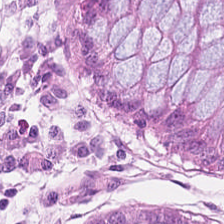0.5 µm per pixel · hematoxylin-and-eosin stained section · 224×224 px patch. Q: What is shown here?
A: It is normal colonic mucosa.
